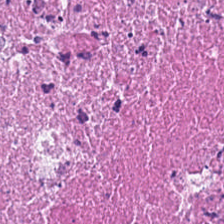H&E stain · 224×224 px patch · 0.5 microns per pixel — Tissue class — necrotic debris.
